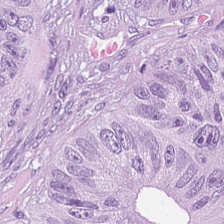Hematoxylin and eosin. Tissue: malignant epithelium.
